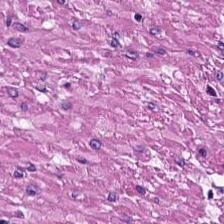0.5 µm per pixel. Hematoxylin-and-eosin stained section.
{"tissue_type": "smooth-muscle tissue"}
